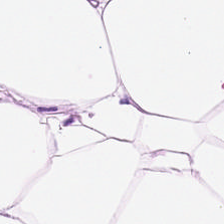Stain: hematoxylin-and-eosin stained section.
Classification: adipose.
